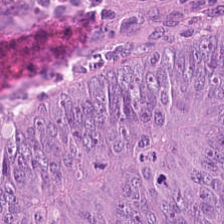Tissue: malignant epithelium.
